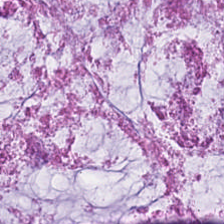Stain: H&E.
Resolution: 0.5 microns per pixel.
Predominant tissue: mucin.
